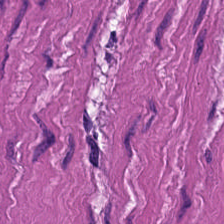Hematoxylin-and-eosin stained section — {"tissue_type": "muscularis"}
